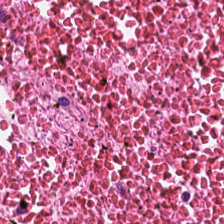H&E stain.
This patch shows necrotic debris.
